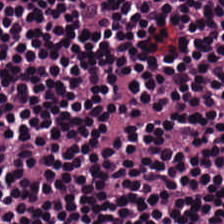Hematoxylin-and-eosin stained section; 0.5 microns per pixel. The classification is lymphocytes.
